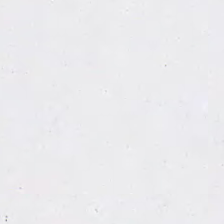H&E-stained tissue section.
Classification — no tissue.
